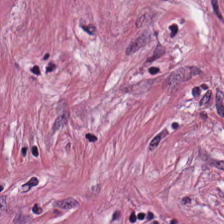H&E-stained tissue section; brightfield microscopy. Tissue type — cancer-associated stroma.
